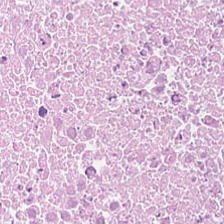Hematoxylin-and-eosin section: cellular debris.
